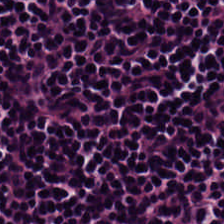This field is lymphocytic infiltrate.
